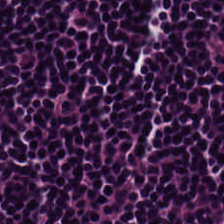H&E stain. 20× equivalent magnification — Histology → lymphocytic infiltrate.
